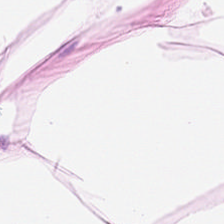Tissue type = fat tissue.
